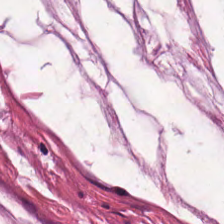0.5 microns per pixel; H&E — Classification: extracellular mucin.
